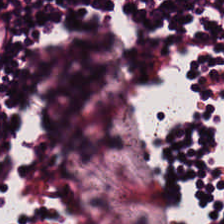Stain: H&E.
Tissue class: lymphocytic infiltrate.
